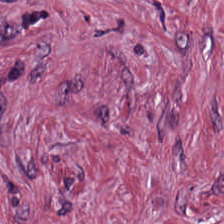WSI patch. 224×224 pixel tile. Hematoxylin-and-eosin stained section. Showing tumor stroma.
